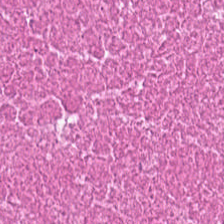Q: What does this patch show?
A: It is debris.
